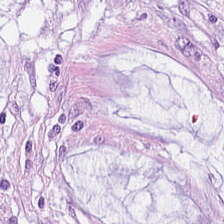Stain: hematoxylin-and-eosin stained section.
Acquisition: whole-slide-image patch.
Tile size: 224×224 px patch.
Predominant tissue: extracellular mucin.
